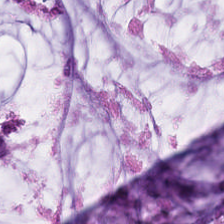H&E-stained tissue section. The tissue type is mucus.
